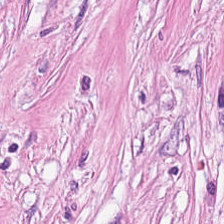Q: What does this patch show?
A: This is tumor stroma.
